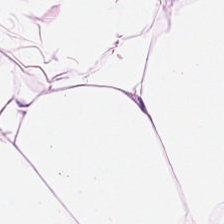H&E. Tissue = adipocytes.
